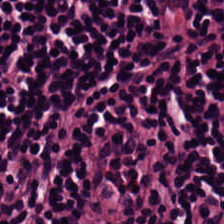Hematoxylin and eosin; brightfield. Q: What tissue type is shown here?
A: This is lymphocytes.
